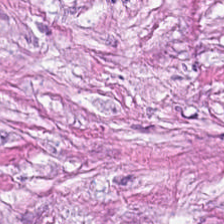H&E-stained tissue section — Showing cancer-associated stroma.
